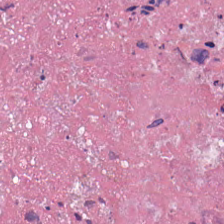H&E; 20× equivalent magnification. Predominantly debris.
